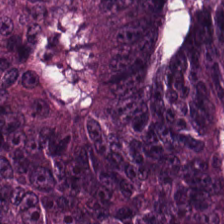Hematoxylin and eosin; brightfield — Impression → tumor epithelium.
